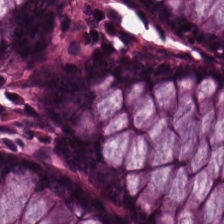224×224 px tile; H&E.
Predominantly benign colonic mucosa.
